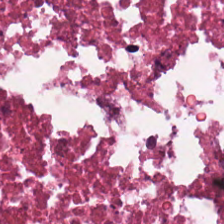H&E stain; FFPE tissue section.
Q: Identify the tissue.
A: It is necrotic debris.
